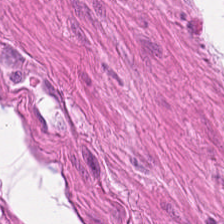224×224 pixel tile · H&E stain. Q: Identify the tissue.
A: The field shows muscularis.
